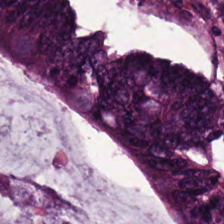0.5 µm/px; H&E. Q: What type of tissue is this?
A: It is malignant epithelium.
